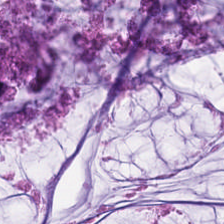Hematoxylin-and-eosin stained section — Tissue: mucus.
